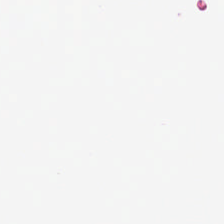224×224 pixel tile. Hematoxylin and eosin. Finding — empty background.
